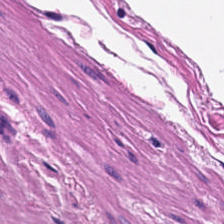H&E.
The tissue type is smooth-muscle tissue.
